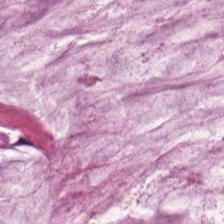Finding — mucin.
